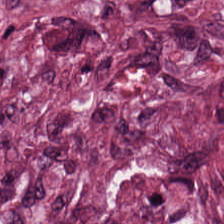H&E patch showing tumor stroma.
